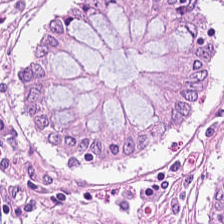Benign colonic mucosa.
